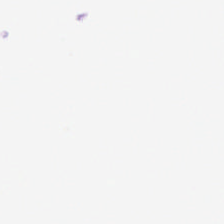0.5 µm per pixel · H&E · WSI patch.
Q: What does this patch show?
A: It is background (no tissue).
